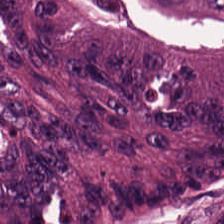H&E. This patch shows malignant epithelium.
